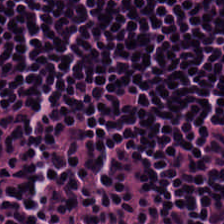0.5 microns per pixel. H&E — Finding → lymphocytes.
